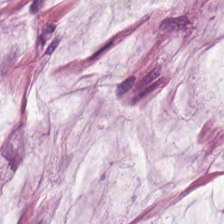20× equivalent magnification. H&E-stained tissue section. Finding — mucus.
